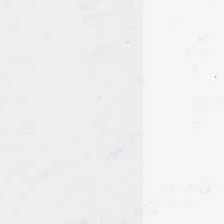224×224 px patch · H&E-stained tissue section · formalin-fixed paraffin-embedded section.
Background (no tissue).
